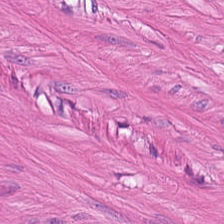Tissue: muscularis.
